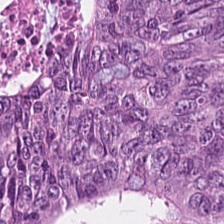Histology → malignant epithelium.
